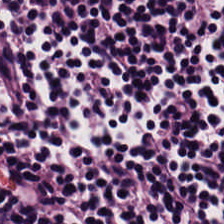Stain: H&E stain.
Predominant tissue: lymphocytes.
